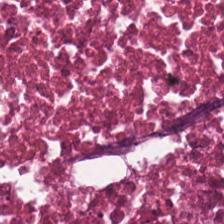The predominant tissue is debris.
